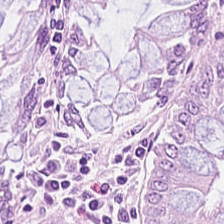Classification = normal colonic mucosa.
